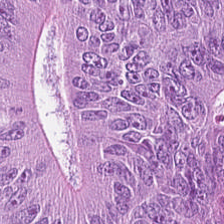H&E stain — This patch shows malignant epithelium.
